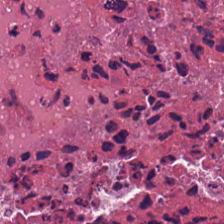Hematoxylin-and-eosin section: debris.
